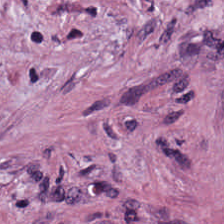H&E — The tissue here is desmoplastic stroma.
